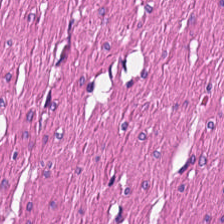Hematoxylin-and-eosin section: muscularis.
